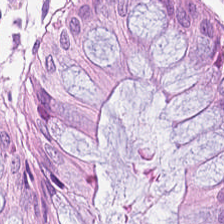H&E-stained tissue section — The tissue here is non-neoplastic colon mucosa.
